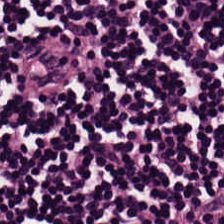Stain: H&E.
Tissue type: lymphocyte aggregate.
